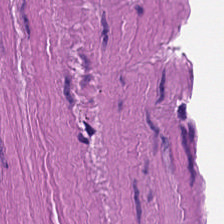Formalin-fixed paraffin-embedded section; H&E stain. This field is muscularis.
